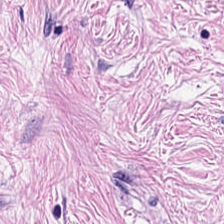0.5 microns per pixel; H&E — Q: Classify this patch.
A: Tumor stroma.
